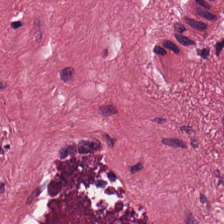Stain: hematoxylin-and-eosin stained section.
Tissue type: cancer-associated stroma.
